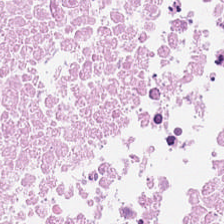H&E-stained tissue section — Q: What does this patch show?
A: The field shows cellular debris.
